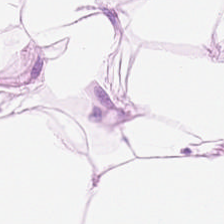Showing adipose.
